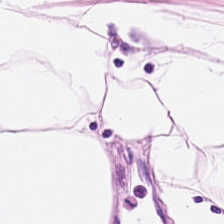Stain: hematoxylin and eosin.
Tissue: adipocytes.
